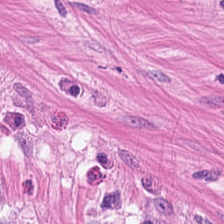Q: What is the predominant tissue type?
A: This is smooth-muscle tissue.
